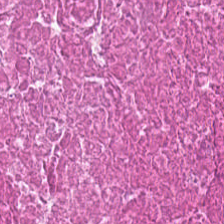H&E-stained tissue section. Brightfield microscopy. 224×224 pixel tile. Q: Identify the tissue.
A: Necrotic debris.
